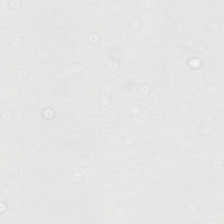Impression — empty background.
